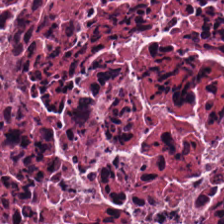H&E-stained tissue section. Formalin-fixed paraffin-embedded section — Predominant tissue: cellular debris.
